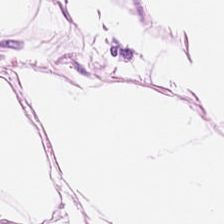224×224 px patch · hematoxylin and eosin · 0.5 µm/px.
{"tissue_type": "fat tissue"}
